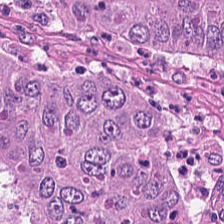H&E-stained tissue section.
Q: What tissue is shown?
A: This is adenocarcinoma.
